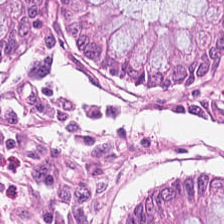H&E. Q: Classify this patch.
A: This is non-neoplastic colon mucosa.
